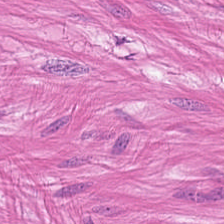Classification = smooth muscle.
